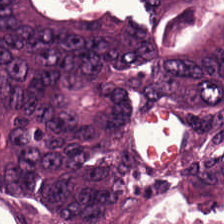Hematoxylin-and-eosin stained section. Tissue type: tumor epithelium.
